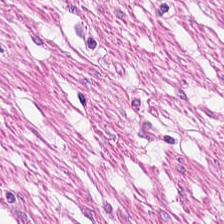Hematoxylin-and-eosin stained section.
Tissue = muscularis.
